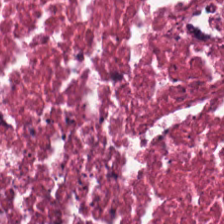Predominant tissue: necrotic debris.
